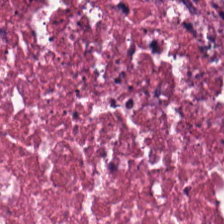Tissue type: cellular debris.
